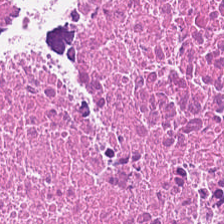Hematoxylin and eosin — Predominant tissue = debris.
